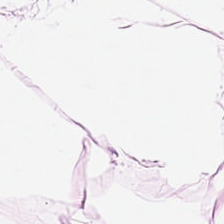H&E stain. Finding → adipocytes.
